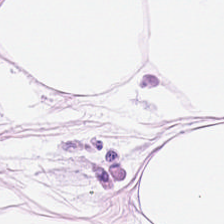The tissue is adipocytes.
